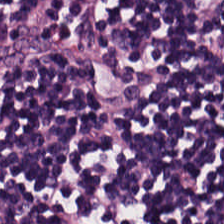Hematoxylin-and-eosin stained section; WSI patch.
Tissue = lymphoid infiltrate.
